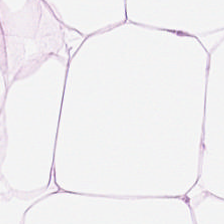224×224 px patch · hematoxylin-and-eosin stained section — Adipose.
